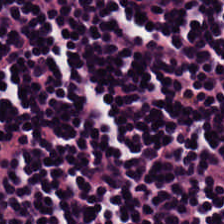224×224 px tile. WSI patch. H&E — The tissue here is lymphocyte aggregate.
